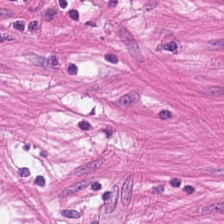Q: What is shown in this field?
A: It is smooth muscle.
